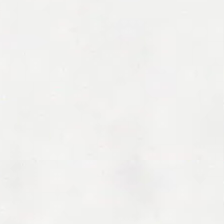This patch shows no tissue.
